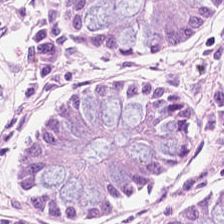0.5 µm per pixel. Hematoxylin and eosin.
{"tissue_type": "benign colonic mucosa"}
